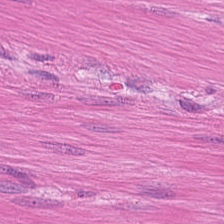H&E. Tissue — muscularis.
